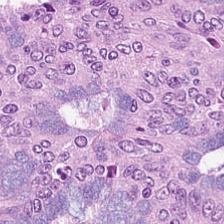H&E. Q: What is shown here?
A: This is colorectal adenocarcinoma epithelium.
